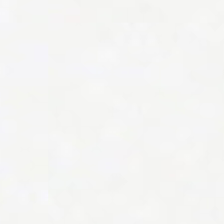H&E stain.
Empty field — background (no tissue).
